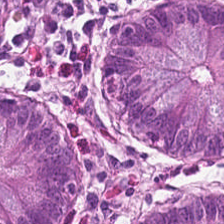H&E-stained tissue section showing non-neoplastic colon mucosa.
